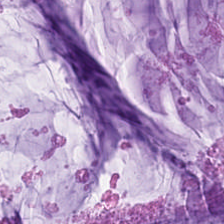H&E — mucus.
